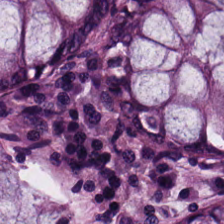H&E-stained tissue section.
This field is normal colonic mucosa.
